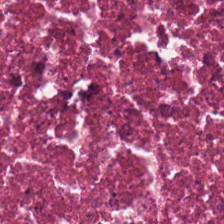Whole-slide-image patch; hematoxylin and eosin; 0.5 microns per pixel.
Q: Identify the tissue.
A: This is cellular debris.
